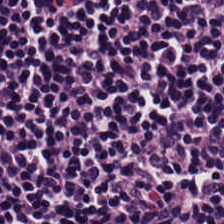{"tissue_type": "lymphocytic infiltrate"}
